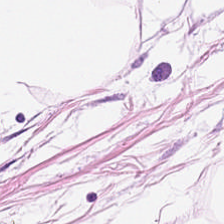Brightfield microscopy. Hematoxylin-and-eosin stained section. Histology → adipocytes.
